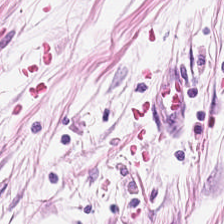Brightfield. Hematoxylin-and-eosin stained section. Showing adipocytes.
